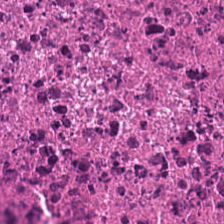Showing cellular debris.
